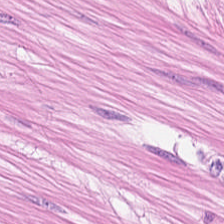Hematoxylin and eosin; 0.5 microns per pixel. Q: What tissue is shown?
A: Smooth muscle.
